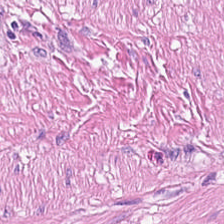224×224 px patch; FFPE; H&E stain.
Smooth muscle.
